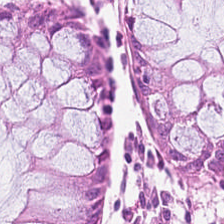Formalin-fixed paraffin-embedded section. Hematoxylin and eosin. 0.5 µm/px — Finding — benign colonic mucosa.
